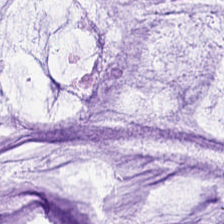Impression — mucin.
